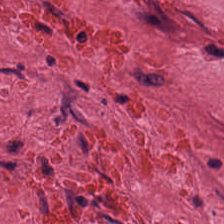H&E stain — Finding — tumor-associated stroma.
